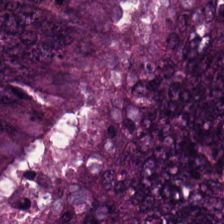224×224 px tile. H&E — Predominantly malignant epithelium.
